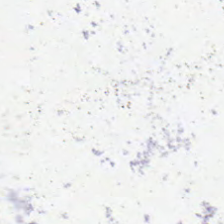WSI patch; H&E-stained tissue section.
Empty field — background.
